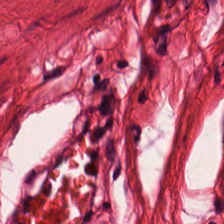H&E stain.
Tissue type = muscularis.
